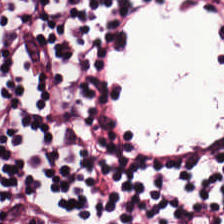Hematoxylin and eosin — The tissue class is lymphocytes.
